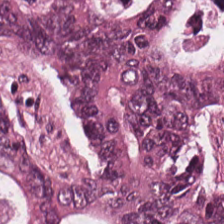FFPE. Hematoxylin-and-eosin stained section. 224×224 px patch — The tissue here is colorectal adenocarcinoma.
